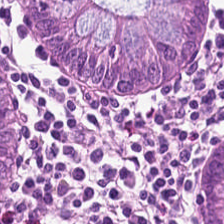H&E stain. This patch shows normal colon mucosa.
